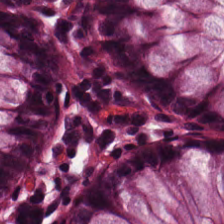Hematoxylin and eosin. Brightfield — The tissue here is normal colonic mucosa.
